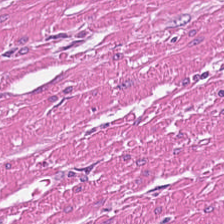H&E-stained tissue section — Tissue class: smooth-muscle tissue.
